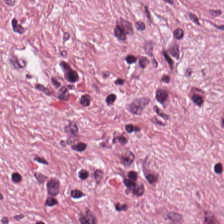Hematoxylin and eosin — The tissue here is tumor-associated stroma.
